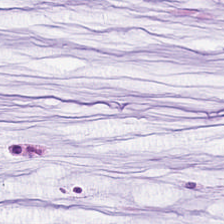Extracellular mucin.
